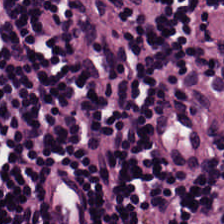20× equivalent magnification; H&E-stained tissue section — Q: What does this patch show?
A: Lymphoid infiltrate.
